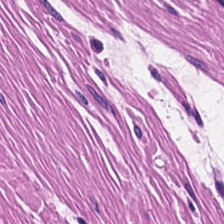Hematoxylin-and-eosin stained section.
Showing smooth muscle.
